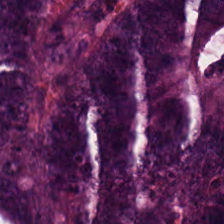FFPE tissue section; H&E-stained tissue section — Q: What is shown here?
A: This is tumor epithelium.
